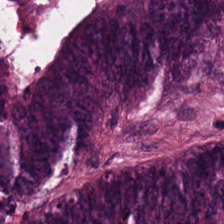Hematoxylin-and-eosin stained section — Tissue class = adenocarcinoma.
